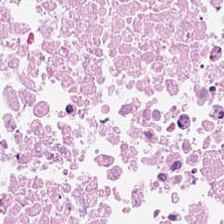H&E. Classification: debris.
